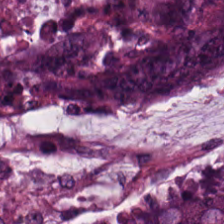Hematoxylin-and-eosin stained section.
Q: What is the predominant tissue type?
A: It is malignant epithelium.
